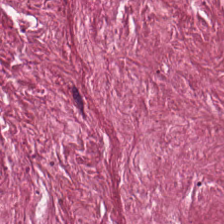Q: What tissue type is shown here?
A: Desmoplastic stroma.
